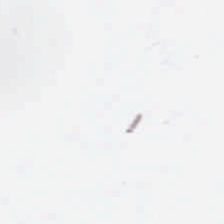Q: What is shown here?
A: Background (no tissue).
